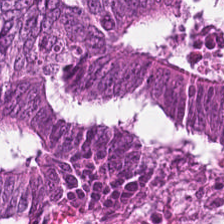224×224 px tile; hematoxylin and eosin — Tissue type = colorectal adenocarcinoma.
